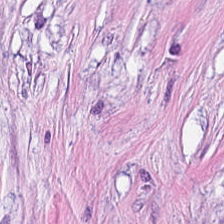Stain: H&E stain.
Tissue: tumor-associated stroma.
